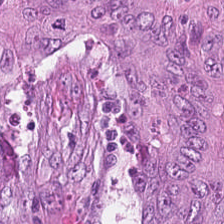Hematoxylin and eosin. Predominantly colorectal adenocarcinoma.
